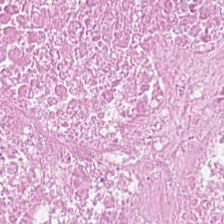Hematoxylin-and-eosin stained section — The predominant tissue is cellular debris.
